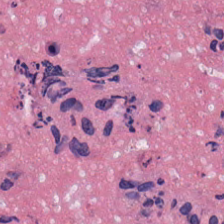WSI patch. H&E — {"tissue_type": "cellular debris"}
